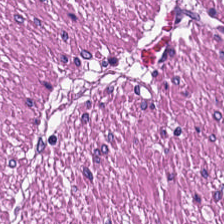Formalin-fixed paraffin-embedded section; H&E-stained tissue section; whole-slide-image patch.
Predominant tissue: smooth-muscle tissue.
